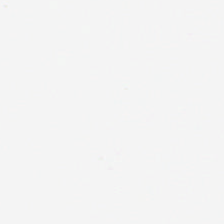FFPE · H&E-stained tissue section.
Finding → empty background.
